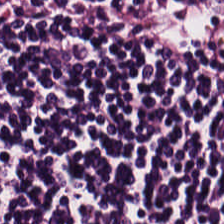H&E stain — Finding — lymphocytic infiltrate.
